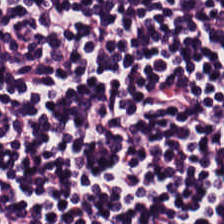The tissue class is lymphoid infiltrate.
